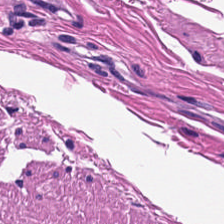Hematoxylin-and-eosin section: smooth-muscle tissue.
